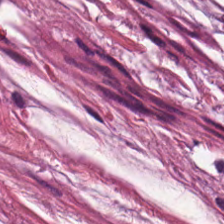The tissue here is extracellular mucin.
